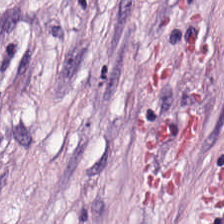WSI patch. 0.5 microns per pixel. Hematoxylin and eosin.
Q: What is shown here?
A: It is tumor-associated stroma.
